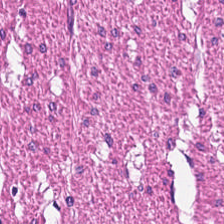Formalin-fixed paraffin-embedded section. H&E. 0.5 microns per pixel. Tissue — smooth-muscle tissue.
